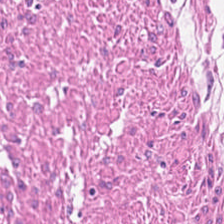H&E-stained tissue section; WSI patch. Tissue class: smooth muscle.
